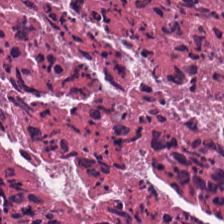Tissue = cellular debris.
